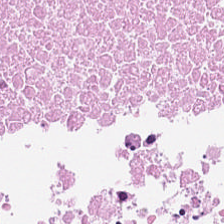Histology → necrotic debris.
